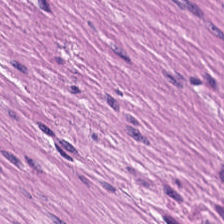H&E.
Histology — smooth muscle.
